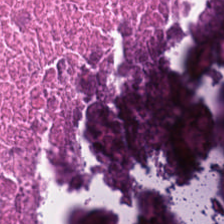Stain: H&E stain.
Preparation: FFPE tissue section.
Resolution: 0.5 µm per pixel.
Classification: necrotic debris.
